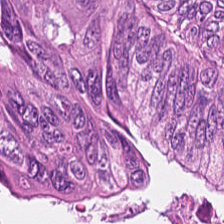Hematoxylin-and-eosin stained section; 224×224 px tile — Q: What type of tissue is this?
A: This is tumor epithelium.
